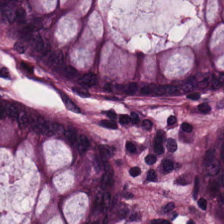H&E — Showing normal colon mucosa.
